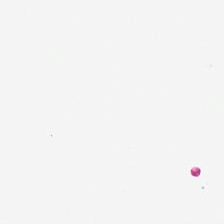0.5 microns per pixel · hematoxylin and eosin · 224×224 px tile. Content: background.
